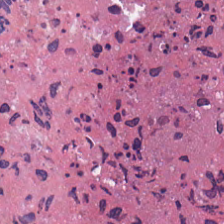The tissue here is debris.
